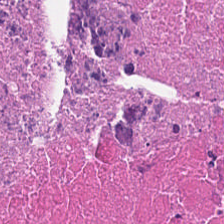224×224 px patch; 20× equivalent magnification; H&E. Showing cellular debris.
